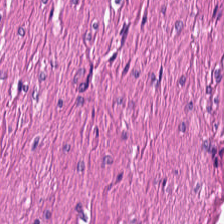Hematoxylin-and-eosin stained section · WSI patch. Classification — smooth muscle.
